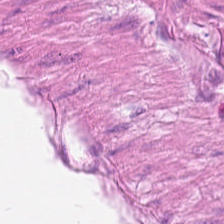Hematoxylin and eosin; 224×224 px patch; brightfield.
Q: What does this patch show?
A: Muscularis.
